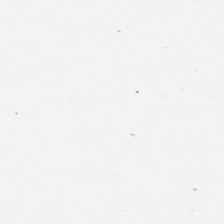H&E · whole-slide-image patch.
Impression → empty background.
